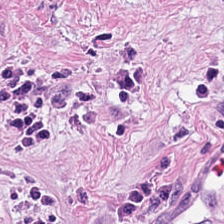H&E.
This patch shows cancer-associated stroma.
